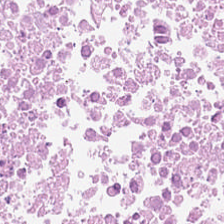Whole-slide-image patch; 224×224 pixel tile; hematoxylin-and-eosin stained section — Classification — cellular debris.
